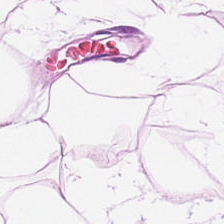Tissue type = adipose.
